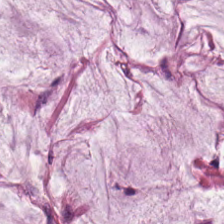Q: Identify the tissue.
A: The field shows extracellular mucin.
